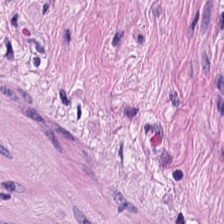H&E. Predominant tissue: smooth muscle.
